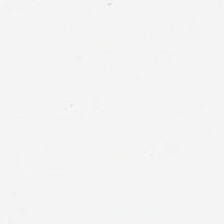{"content": "background"}
